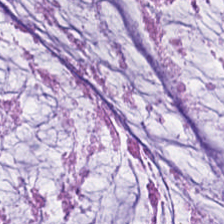Hematoxylin-and-eosin stained section. The predominant tissue is mucus.
